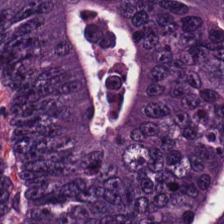H&E-stained tissue section.
Colorectal adenocarcinoma epithelium.
